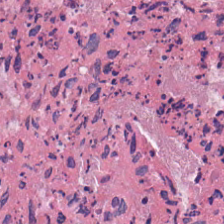H&E-stained tissue section — Predominant tissue: necrotic debris.
